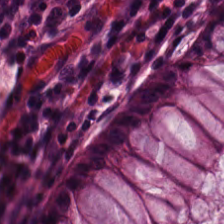Non-neoplastic colon mucosa.
